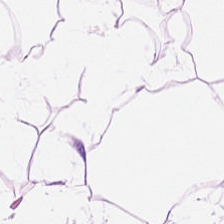0.5 µm/px; hematoxylin-and-eosin stained section — Predominantly adipose.
